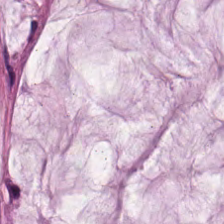WSI patch · H&E stain · FFPE — The tissue is mucin.
